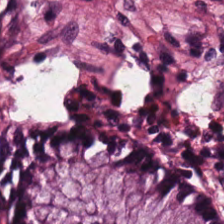0.5 µm/px; H&E-stained tissue section — The tissue is non-neoplastic colon mucosa.
